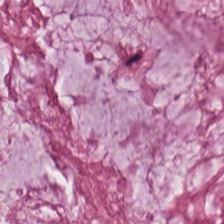Brightfield. Hematoxylin-and-eosin stained section.
Showing mucin.
